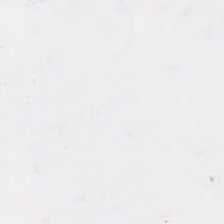{"content": "background"}
